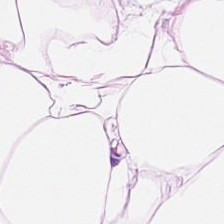0.5 µm/px · hematoxylin-and-eosin stained section · WSI patch.
Finding — adipocytes.
